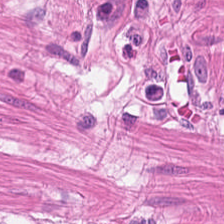WSI patch; H&E-stained tissue section — Predominant tissue: muscularis.
